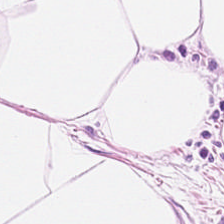H&E · brightfield.
Fat tissue.
